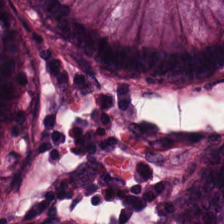FFPE; hematoxylin and eosin; 0.5 microns per pixel.
Tissue type = normal colon mucosa.
